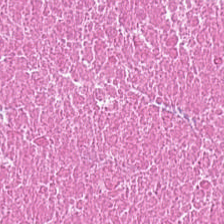Showing necrotic debris.
